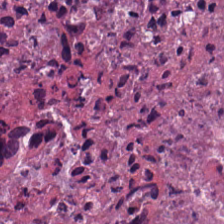Predominantly debris.
